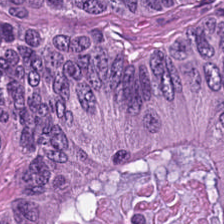H&E-stained tissue section · brightfield. This patch shows tumor epithelium.
